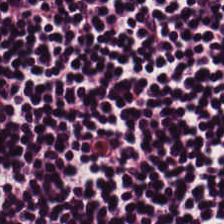H&E-stained tissue section — Finding → lymphocyte aggregate.
